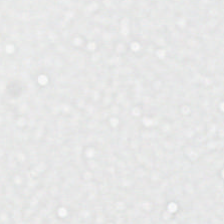Formalin-fixed paraffin-embedded section · hematoxylin-and-eosin stained section.
Empty field — no tissue.
